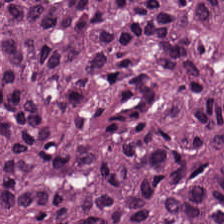Finding → malignant epithelium.
